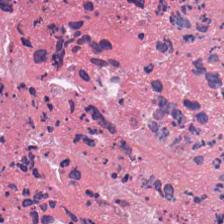Stain: H&E-stained tissue section.
Predominant tissue: necrotic debris.
